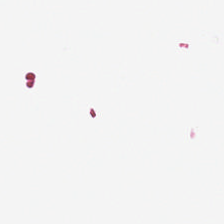Hematoxylin and eosin.
Classification — empty background.
